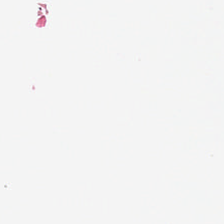Background — no tissue in this field.
